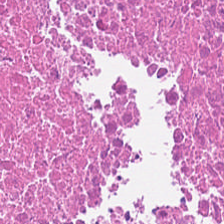H&E-stained tissue section — Q: Classify this patch.
A: It is debris.
